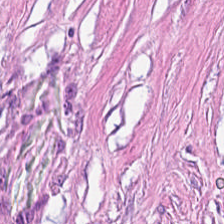Hematoxylin and eosin.
Predominant tissue: desmoplastic stroma.
